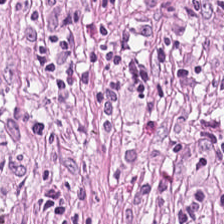Whole-slide-image patch; H&E; 0.5 microns per pixel. Showing desmoplastic stroma.
